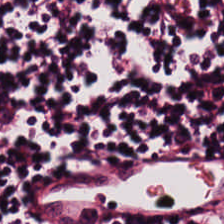H&E-stained tissue section; WSI patch — Lymphocyte aggregate.
